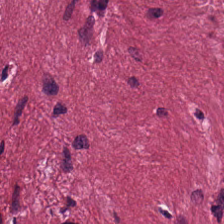Hematoxylin-and-eosin stained section — Desmoplastic stroma.
